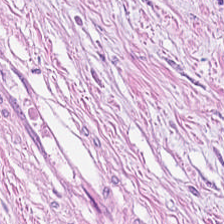Q: What is shown in this field?
A: The field shows tumor stroma.
